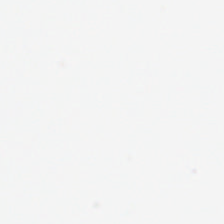This field is background (no tissue).
